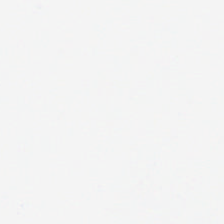Background.
